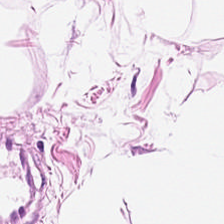Q: What does this patch show?
A: This is adipose tissue.
